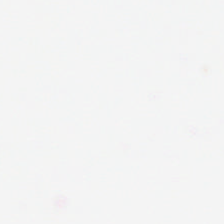Field content = no tissue.
